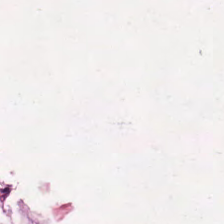H&E stain. 0.5 µm per pixel — The tissue here is extracellular mucin.
